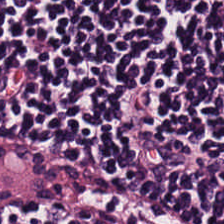H&E stain — The predominant tissue is lymphoid infiltrate.
